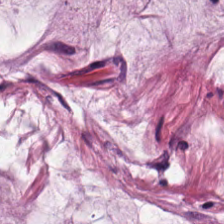H&E-stained tissue section; 0.5 µm/px. The predominant tissue is extracellular mucin.
